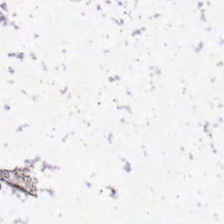Hematoxylin-and-eosin stained section · whole-slide-image patch · 20× equivalent magnification — Impression — empty background.
